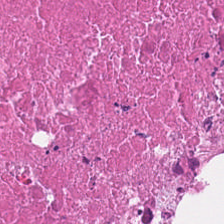224×224 px tile; H&E-stained tissue section; brightfield — The tissue type is debris.
